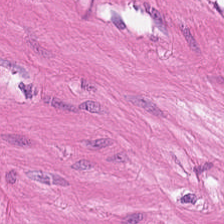H&E stain.
Q: What tissue type is shown here?
A: This is smooth muscle.
